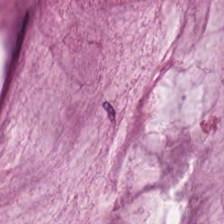H&E. FFPE. Whole-slide-image patch.
Classification — mucin.
